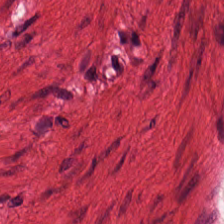H&E stain; brightfield microscopy. Predominant tissue = smooth muscle.
